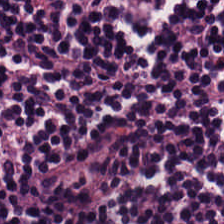FFPE; H&E stain. Showing lymphocytic infiltrate.
